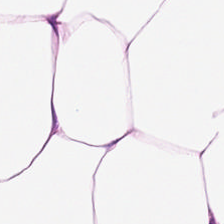Hematoxylin-and-eosin stained section. Formalin-fixed paraffin-embedded section. Q: What tissue type is shown here?
A: Adipocytes.
